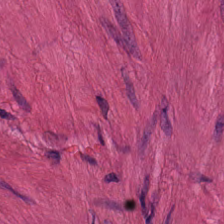H&E patch showing smooth muscle.
